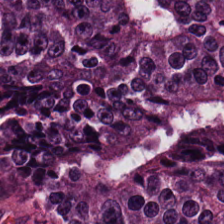H&E-stained tissue section. FFPE — Classification = colorectal adenocarcinoma epithelium.
